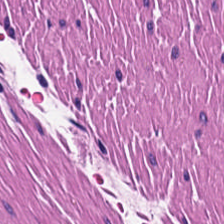Predominantly smooth muscle.
